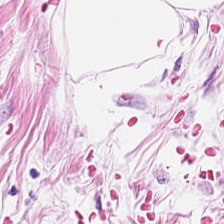Stain: hematoxylin-and-eosin stained section.
Tissue type: adipose.
